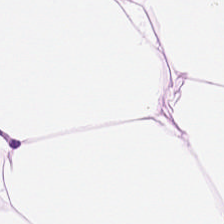H&E.
Tissue = adipose tissue.
